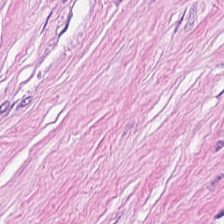Tissue = desmoplastic stroma.
